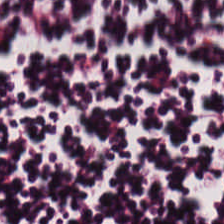Stain: H&E stain.
Predominant tissue: lymphocytic infiltrate.
